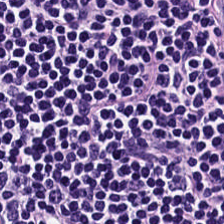224×224 px patch · H&E.
Showing lymphocytes.
